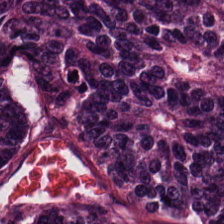FFPE; H&E — {"tissue_type": "tumor epithelium"}
